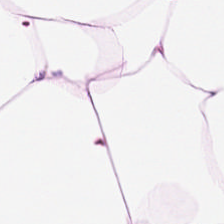H&E. Tissue = adipose tissue.
